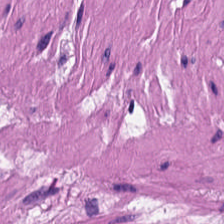This field is muscularis.
